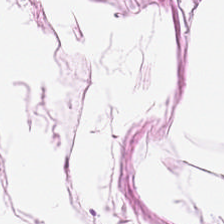Tissue: adipocytes.
